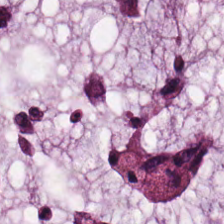H&E. {"tissue_type": "mucin"}
